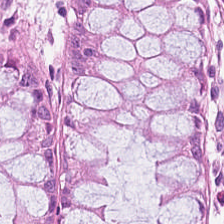Hematoxylin and eosin — Tissue class: benign colonic mucosa.
